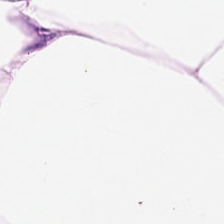Hematoxylin-and-eosin stained section — Predominantly adipose tissue.
